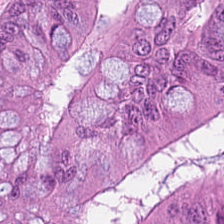H&E — Showing tumor epithelium.
